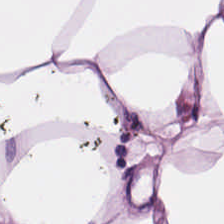Hematoxylin-and-eosin stained section.
Histology → adipocytes.
